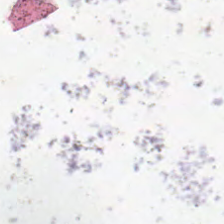Field content — background.
